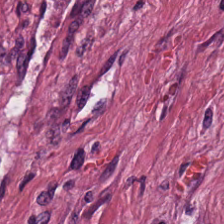Stain: H&E-stained tissue section.
Preparation: FFPE.
Predominant tissue: desmoplastic stroma.
